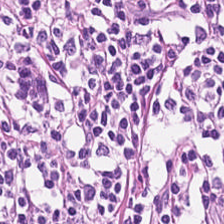Hematoxylin and eosin.
Tissue class — lymphocyte aggregate.
